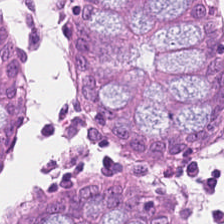Whole-slide-image patch; FFPE tissue section; hematoxylin and eosin — Tissue class — normal colonic mucosa.
